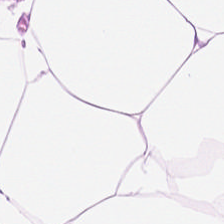Classification = fat tissue.
